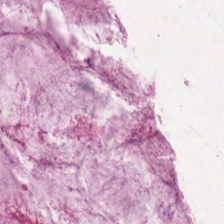Whole-slide-image patch. Hematoxylin and eosin — Impression — extracellular mucin.
